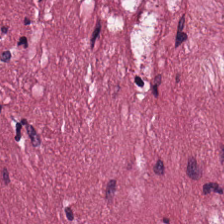This field is tumor-associated stroma.
